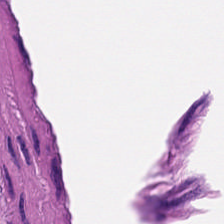Hematoxylin-and-eosin stained section. Predominantly smooth-muscle tissue.
